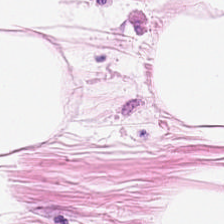H&E-stained tissue section — Q: What tissue is shown?
A: It is adipocytes.
